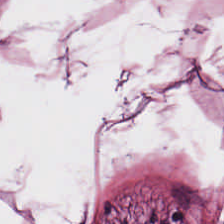Hematoxylin and eosin.
Adipocytes.
